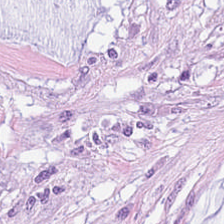Formalin-fixed paraffin-embedded section · H&E. Q: What does this patch show?
A: The field shows mucus.
